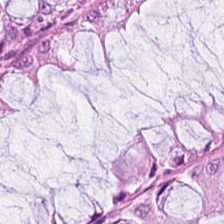Stain: H&E-stained tissue section.
Classification: normal colonic mucosa.
